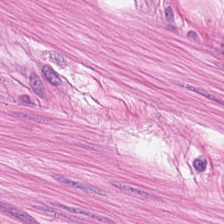H&E. Muscularis.
